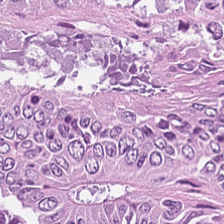Stain: hematoxylin and eosin.
Predominant tissue: malignant epithelium.
